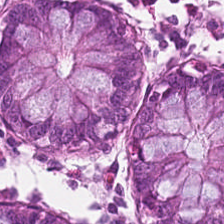H&E stain. FFPE.
{"tissue_type": "non-neoplastic colon mucosa"}
